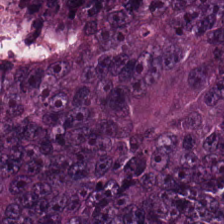0.5 µm/px · hematoxylin and eosin. Tissue class — colorectal adenocarcinoma.
